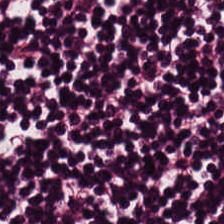Hematoxylin and eosin · brightfield microscopy · 0.5 µm/px. The predominant tissue is lymphocytic infiltrate.
